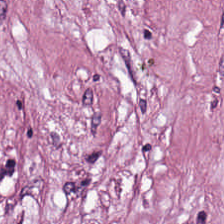Hematoxylin and eosin. Tissue type — tumor-associated stroma.
